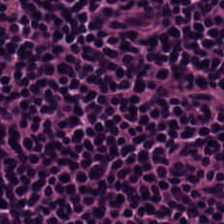224×224 px tile. Hematoxylin and eosin. Impression — lymphocyte aggregate.
